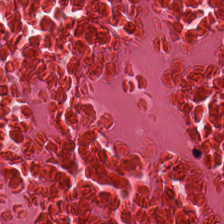Hematoxylin-and-eosin stained section · FFPE tissue section. Cellular debris.
